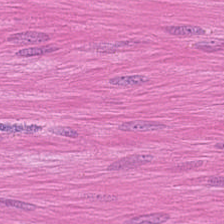H&E-stained section; the field shows smooth-muscle tissue.
